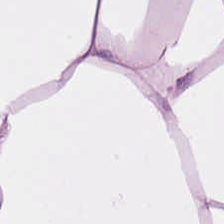H&E · whole-slide-image patch. The predominant tissue is adipocytes.
